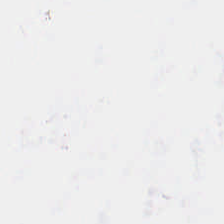Brightfield; 20× equivalent magnification; hematoxylin-and-eosin stained section — Background — no tissue in this field.
